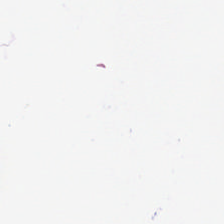H&E-stained tissue section. No tissue.
